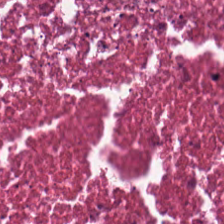Stain: hematoxylin-and-eosin stained section.
Preparation: FFPE.
Predominant tissue: necrotic debris.
